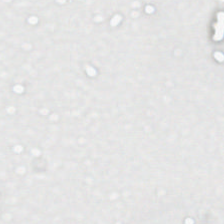H&E stain. 224×224 pixel tile. Q: What is shown in this field?
A: The field shows background.
